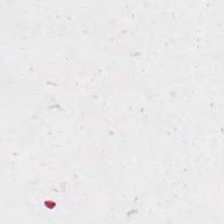Hematoxylin and eosin. Classification: empty background.
